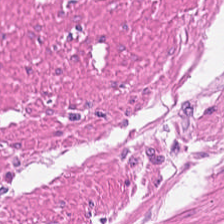Hematoxylin-and-eosin stained section · 224×224 px tile · 0.5 microns per pixel.
This field is smooth muscle.
